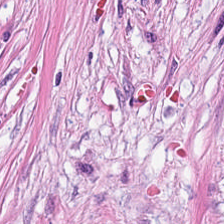H&E-stained tissue section. Q: What type of tissue is this?
A: This is tumor-associated stroma.
